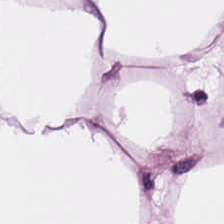Hematoxylin-and-eosin stained section — Q: What type of tissue is this?
A: The field shows adipose tissue.
